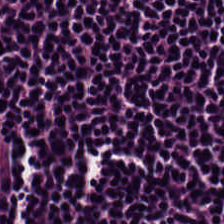H&E.
Impression → lymphocyte aggregate.
